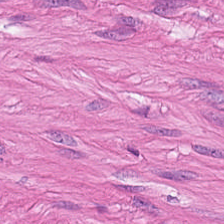Stain: hematoxylin and eosin.
Tissue class: smooth muscle.
